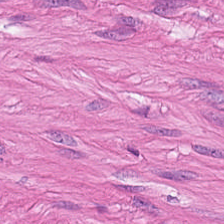Stain: hematoxylin and eosin.
Tissue class: smooth muscle.
